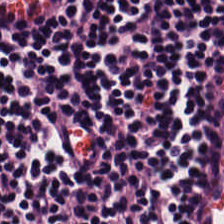Q: What does this patch show?
A: This is lymphocytes.
